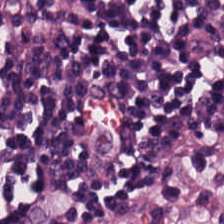This patch shows lymphocytes.
